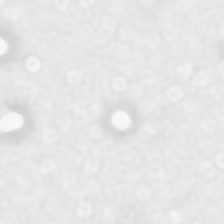Q: What does this patch show?
A: It is no tissue.
